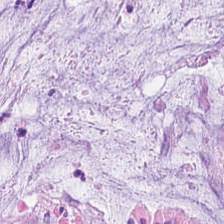Hematoxylin-and-eosin stained section. Brightfield. 224×224 px tile. The predominant tissue is extracellular mucin.
